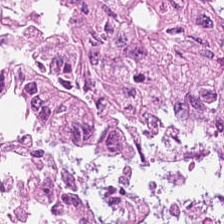Hematoxylin-and-eosin stained section — Histology — tumor epithelium.
